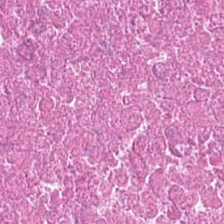Hematoxylin-and-eosin stained section.
{"tissue_type": "necrotic debris"}
